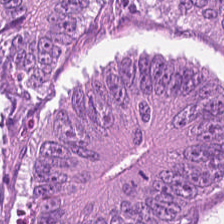H&E stain.
Tissue — colorectal adenocarcinoma epithelium.
